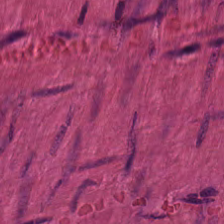Stain: H&E.
Preparation: formalin-fixed paraffin-embedded section.
Acquisition: brightfield.
Predominant tissue: smooth-muscle tissue.
